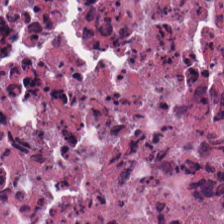H&E-stained tissue section · FFPE — This patch shows necrotic debris.
